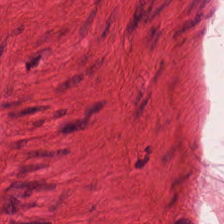{"tissue_type": "smooth-muscle tissue"}
